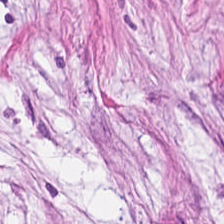Stain: H&E.
Preparation: FFPE tissue section.
Resolution: 0.5 µm/px.
Classification: desmoplastic stroma.
